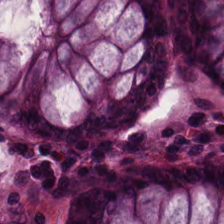Formalin-fixed paraffin-embedded section · hematoxylin and eosin.
Q: What type of tissue is this?
A: It is normal colon mucosa.
